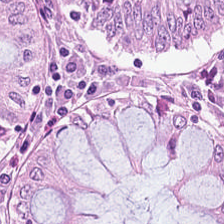Q: What tissue is shown?
A: This is normal colonic mucosa.
